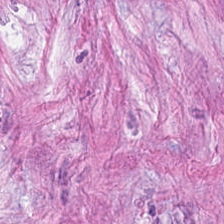Hematoxylin-and-eosin stained section. Brightfield.
{"tissue_type": "cancer-associated stroma"}
